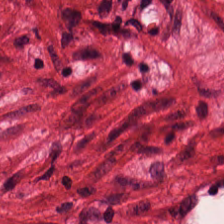Brightfield microscopy; H&E. Classification — smooth-muscle tissue.
